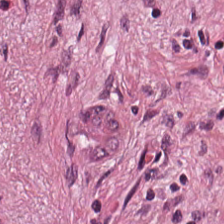H&E-stained tissue section showing desmoplastic stroma.
